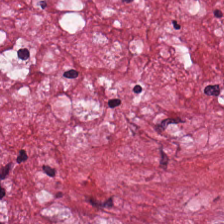FFPE; 224×224 pixel tile; hematoxylin and eosin.
The tissue here is tumor stroma.
